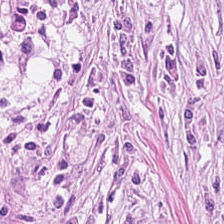H&E stain. Tissue class — desmoplastic stroma.
